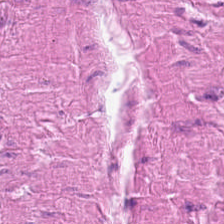FFPE tissue section; H&E stain.
Tissue — muscularis.
